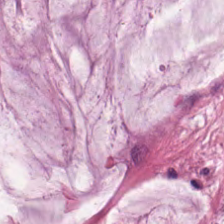Stain: H&E stain.
Tile size: 224×224 px tile.
Tissue: mucin.
